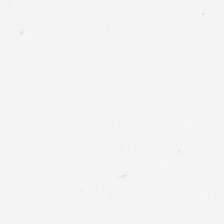FFPE tissue section. Hematoxylin and eosin. Background (no tissue).
